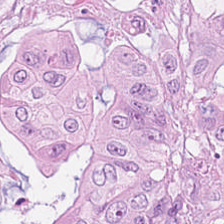H&E-stained tissue section · FFPE tissue section — Q: Identify the tissue.
A: This is malignant epithelium.
